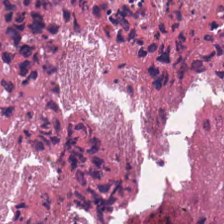Brightfield microscopy. Formalin-fixed paraffin-embedded section. H&E. Tissue class — necrotic debris.
